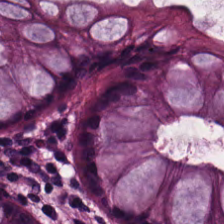This patch shows normal colonic mucosa.
